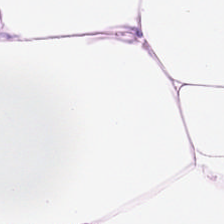Stain: H&E.
Tissue: adipose.
